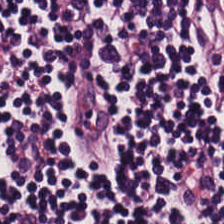This field is lymphocytic infiltrate.
